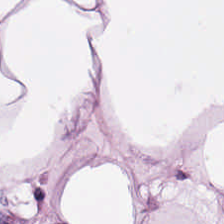Whole-slide-image patch. H&E stain. 224×224 pixel tile.
Finding → fat tissue.
